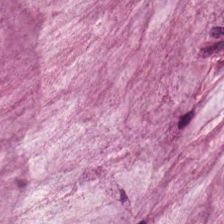Hematoxylin-and-eosin stained section.
This patch shows mucin.
